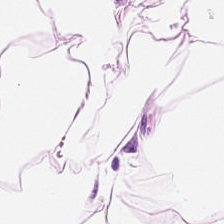Stain: H&E-stained tissue section.
Tile size: 224×224 px tile.
Tissue type: adipocytes.
